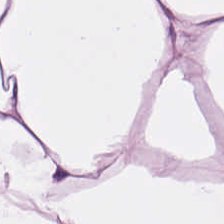Q: What is shown in this field?
A: It is fat tissue.
